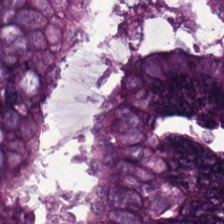Stain: hematoxylin and eosin.
Tissue class: malignant epithelium.
